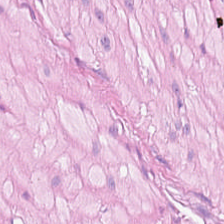Stain: H&E stain.
Predominant tissue: smooth muscle.
